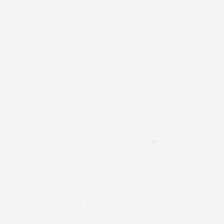H&E-stained tissue section. 224×224 px patch. Classification: empty background.
